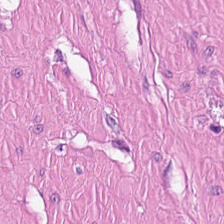Hematoxylin and eosin; 20× equivalent magnification. Classification: smooth-muscle tissue.
